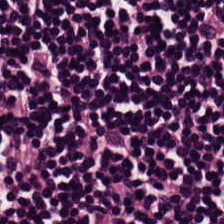Predominantly lymphocytic infiltrate.
